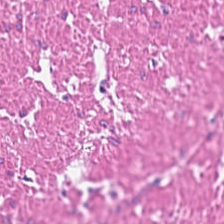FFPE. H&E-stained tissue section — Impression → smooth-muscle tissue.
